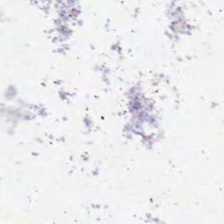Hematoxylin-and-eosin stained section; 224×224 px tile. Background — no tissue in this field.
